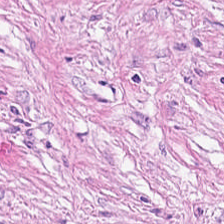H&E — Q: What tissue is shown?
A: This is cancer-associated stroma.
